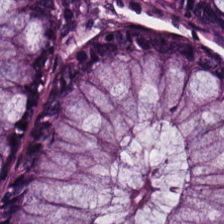Hematoxylin-and-eosin stained section.
This patch shows benign colonic mucosa.
